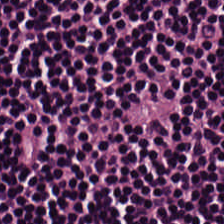0.5 µm/px. H&E-stained tissue section. 224×224 px tile.
The tissue here is lymphoid infiltrate.
